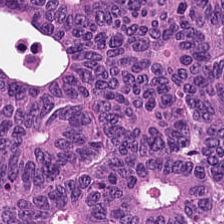FFPE tissue section; hematoxylin and eosin — Histology → colorectal adenocarcinoma.
